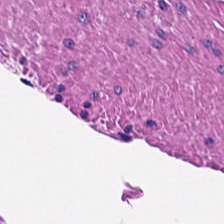FFPE. H&E stain. Tissue: muscularis.
